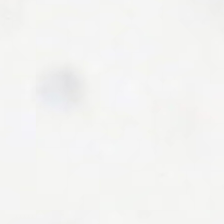H&E-stained tissue section; 0.5 microns per pixel; 224×224 px tile — Classification: no tissue.
